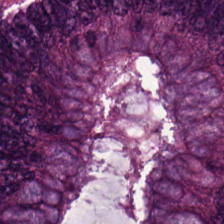H&E.
Tissue — malignant epithelium.
